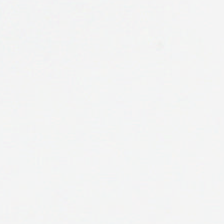H&E — {"content": "empty background"}
